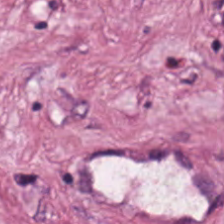WSI patch; H&E stain — Showing tumor-associated stroma.
